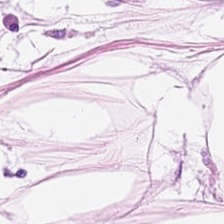{"tissue_type": "adipose"}
